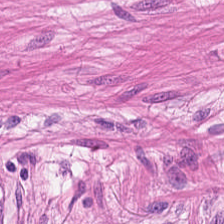0.5 microns per pixel; H&E.
Q: What is shown here?
A: It is smooth-muscle tissue.
